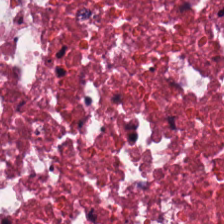Stain: H&E stain.
Classification: debris.
